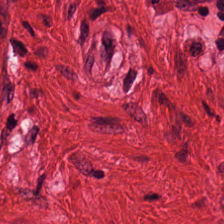FFPE; H&E. This field is muscularis.
